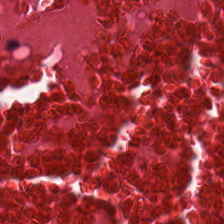Hematoxylin-and-eosin stained section — Finding — cellular debris.
